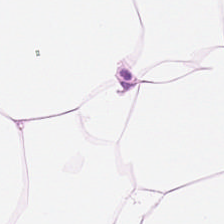0.5 µm/px. H&E.
Predominantly adipocytes.
